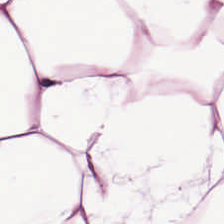Hematoxylin-and-eosin stained section; 224×224 px patch.
The tissue class is adipocytes.
